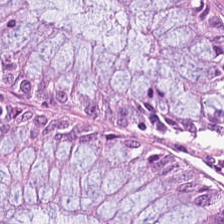0.5 microns per pixel. Hematoxylin-and-eosin stained section. 224×224 px tile — Tissue type = benign colonic mucosa.
